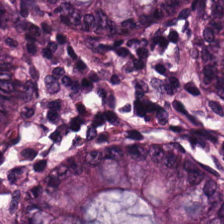{"tissue_type": "non-neoplastic colon mucosa"}
